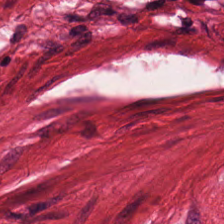Finding → smooth-muscle tissue.
